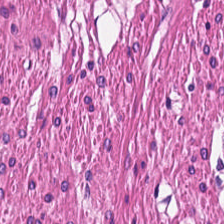Hematoxylin and eosin · 224×224 px tile — {"tissue_type": "smooth-muscle tissue"}
